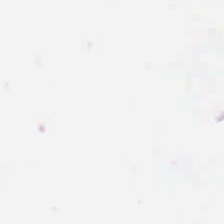0.5 µm per pixel · H&E · formalin-fixed paraffin-embedded section — Q: What does this patch show?
A: This is empty background.
